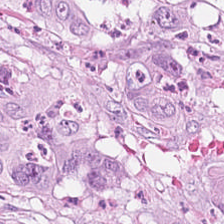H&E patch showing tumor epithelium.
